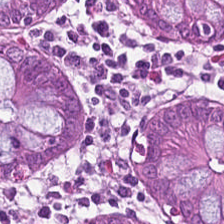Tissue = normal colon mucosa.
